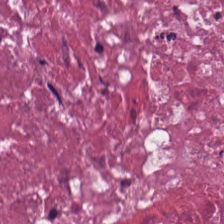Finding → necrotic debris.
